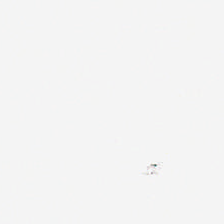Hematoxylin-and-eosin stained section — Empty field — empty background.
